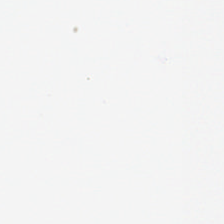Formalin-fixed paraffin-embedded section; H&E stain; 224×224 pixel tile.
No tissue present; background only.
